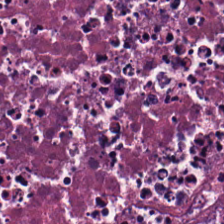H&E patch showing necrotic debris.
